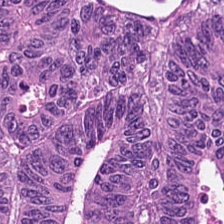H&E stain.
This patch shows adenocarcinoma.
